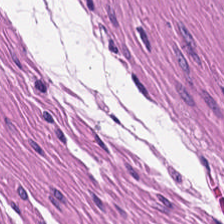Stain: hematoxylin and eosin.
Tissue: muscularis.
